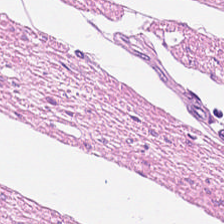Stain: hematoxylin-and-eosin stained section.
Tissue: muscularis.
